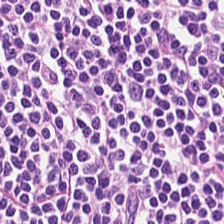This patch shows lymphocytic infiltrate.
